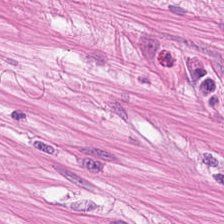0.5 microns per pixel. H&E-stained tissue section — Predominant tissue — muscularis.
